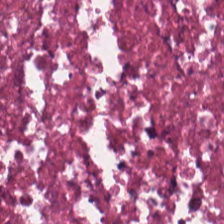Stain: hematoxylin and eosin.
Preparation: FFPE.
Acquisition: brightfield.
Predominant tissue: debris.
